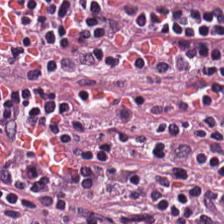{"tissue_type": "lymphocytes"}
